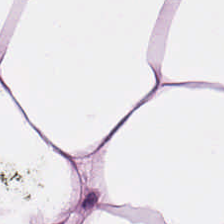H&E stain — This patch shows adipose tissue.
